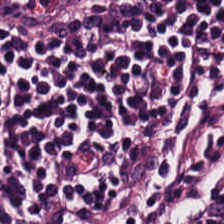H&E-stained tissue section; 0.5 microns per pixel — The tissue here is lymphocytic infiltrate.
